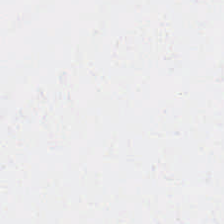H&E stain. Q: What does this patch show?
A: This is empty background.
